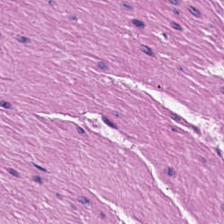Hematoxylin-and-eosin stained section. Tissue: muscularis.
